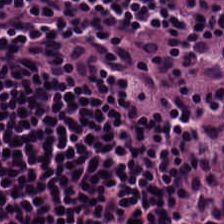Hematoxylin-and-eosin stained section · 0.5 microns per pixel — Histology — lymphocytes.
